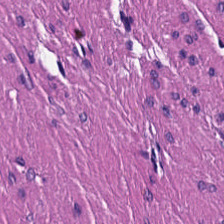H&E stain — The tissue class is smooth muscle.
